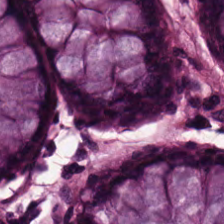20× equivalent magnification · hematoxylin-and-eosin stained section.
Predominant tissue: normal colonic mucosa.
